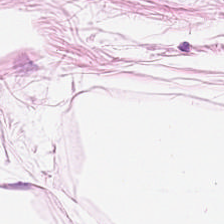H&E.
Predominantly adipose.
